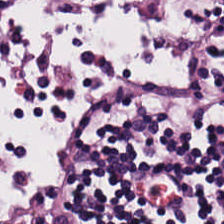Hematoxylin-and-eosin section: lymphocyte aggregate.
